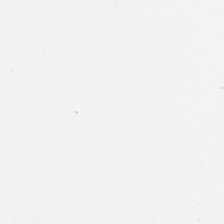H&E; 224×224 px tile. This patch shows no tissue.
